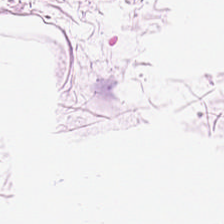Stain: H&E.
Tile size: 224×224 px tile.
Tissue class: adipocytes.
